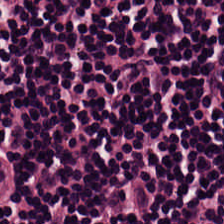H&E stain — Q: What is the predominant tissue type?
A: It is lymphoid infiltrate.
